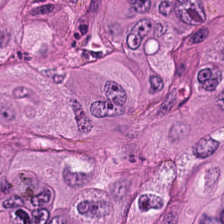Hematoxylin and eosin.
Predominantly adenocarcinoma.
